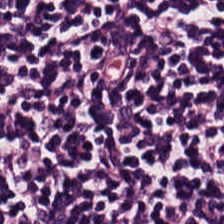The predominant tissue is lymphocyte aggregate.
